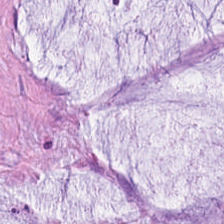Tissue class: extracellular mucin.
